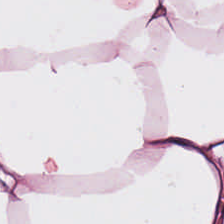H&E patch showing fat tissue.
